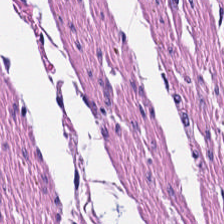WSI patch; 224×224 px tile; hematoxylin-and-eosin stained section.
Tissue class: smooth muscle.
